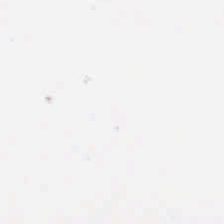Q: What is shown here?
A: Background (no tissue).
